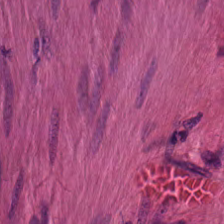Q: What does this patch show?
A: The field shows smooth-muscle tissue.
